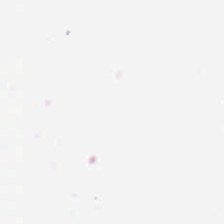0.5 µm/px. Hematoxylin and eosin — {"content": "background"}
